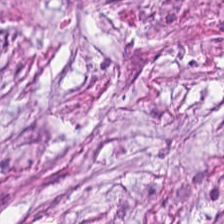Formalin-fixed paraffin-embedded section; hematoxylin-and-eosin stained section. This patch shows desmoplastic stroma.
